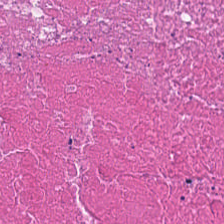Formalin-fixed paraffin-embedded section · H&E-stained tissue section — Impression — debris.
